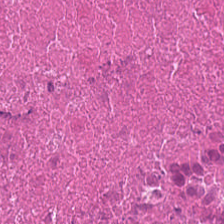FFPE · 224×224 pixel tile · hematoxylin and eosin — This patch shows debris.
